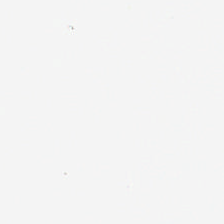Stain: H&E-stained tissue section.
Content: empty background.
